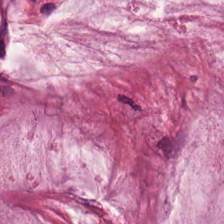0.5 µm per pixel · 224×224 pixel tile · hematoxylin and eosin.
The predominant tissue is mucin.
